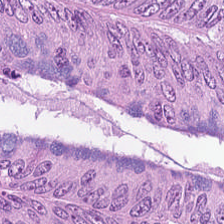Hematoxylin-and-eosin stained section. Tissue type = colorectal adenocarcinoma.
